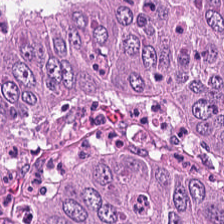H&E — Q: Classify this patch.
A: Adenocarcinoma.
